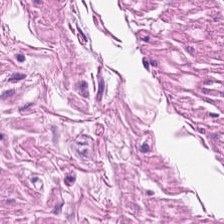H&E · 224×224 px patch.
Predominant tissue — muscularis.
